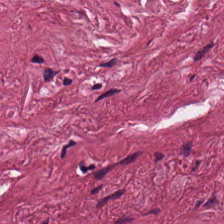Q: Identify the tissue.
A: Tumor stroma.
